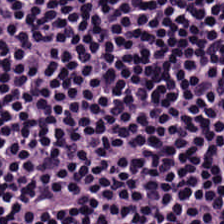FFPE tissue section; H&E stain. Predominant tissue — lymphoid infiltrate.
